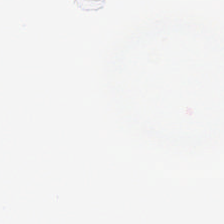Classification — no tissue.
